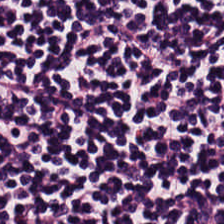Stain: H&E stain.
Tissue class: lymphocyte aggregate.
